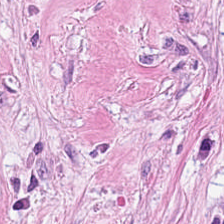Q: What is shown here?
A: This is desmoplastic stroma.
